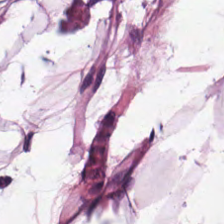Predominantly adipose tissue.
